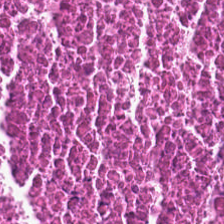Hematoxylin-and-eosin stained section.
Q: What tissue type is shown here?
A: It is debris.
